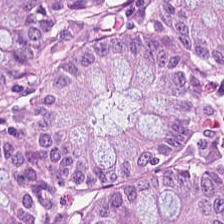Formalin-fixed paraffin-embedded section · hematoxylin and eosin · 0.5 µm per pixel. This field is normal colonic mucosa.
